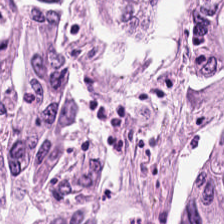Q: What is shown in this field?
A: This is colorectal adenocarcinoma epithelium.
